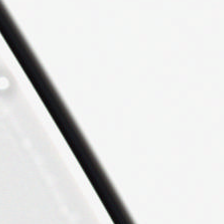H&E · brightfield. Classification = empty background.
